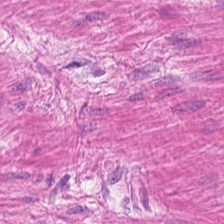This patch shows muscularis.
